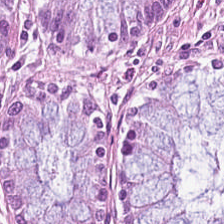0.5 microns per pixel. H&E-stained tissue section.
The predominant tissue is normal colon mucosa.
